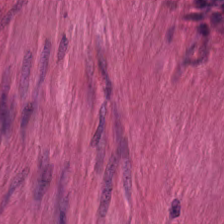This patch shows smooth-muscle tissue.
